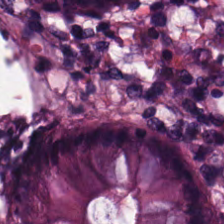H&E.
Histology — normal colon mucosa.
